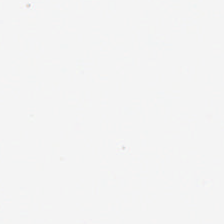Stain: H&E-stained tissue section.
Field content: empty background.
